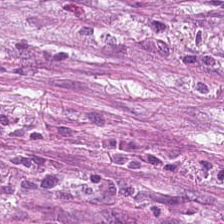H&E-stained tissue section showing desmoplastic stroma.
